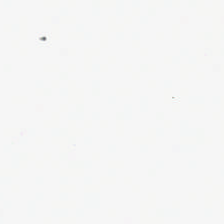Stain: hematoxylin and eosin.
Field content: background (no tissue).
